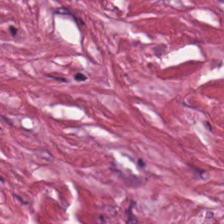Hematoxylin and eosin; 224×224 pixel tile — Q: Classify this patch.
A: This is tumor-associated stroma.
